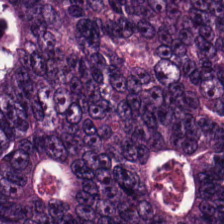Hematoxylin-and-eosin stained section; 20× equivalent magnification — The tissue here is malignant epithelium.
